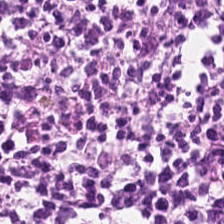Hematoxylin-and-eosin stained section; formalin-fixed paraffin-embedded section. Lymphocyte aggregate.
